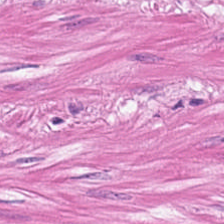Brightfield microscopy. FFPE tissue section. Hematoxylin-and-eosin stained section — This field is smooth-muscle tissue.
